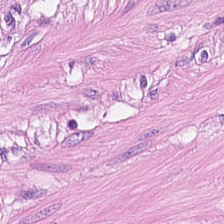H&E-stained tissue section · 0.5 µm per pixel · 224×224 px tile — Q: Identify the tissue.
A: The field shows smooth-muscle tissue.
